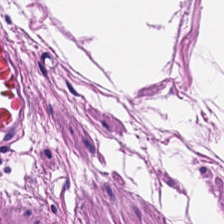This field is muscularis.
